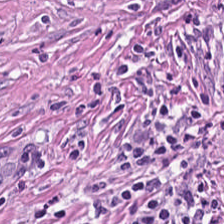Stain: H&E-stained tissue section.
Tissue type: tumor stroma.
